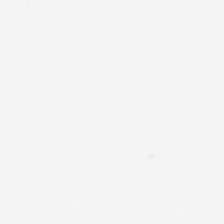0.5 microns per pixel; brightfield microscopy; hematoxylin and eosin. This field is background (no tissue).
